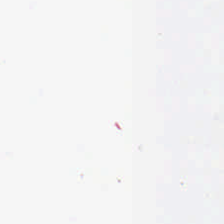Hematoxylin and eosin. {"content": "empty background"}
